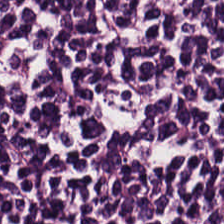Impression — lymphocytes.
